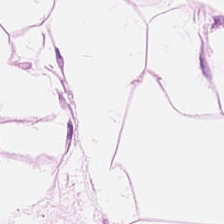H&E stain. This field is adipocytes.
